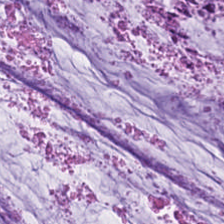0.5 µm per pixel · H&E · whole-slide-image patch. The tissue here is mucus.
